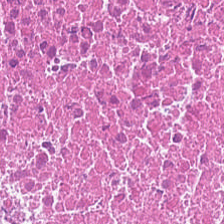224×224 pixel tile; H&E — {"tissue_type": "cellular debris"}
